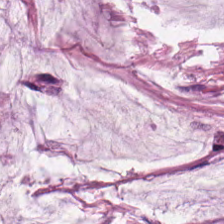Brightfield · H&E. Predominantly mucus.
